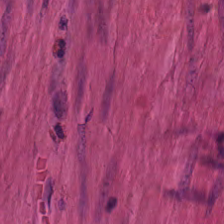Tissue type — smooth-muscle tissue.
